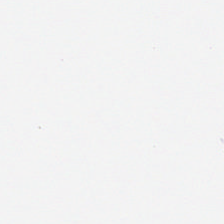H&E stain.
Q: What is shown here?
A: It is empty background.
